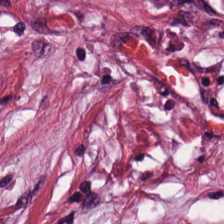FFPE tissue section · brightfield · hematoxylin and eosin — This field is cancer-associated stroma.
